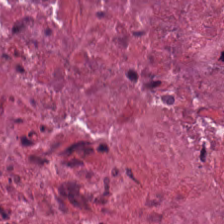Hematoxylin-and-eosin stained section · 0.5 µm/px · 224×224 px patch. Tissue type = necrotic debris.
